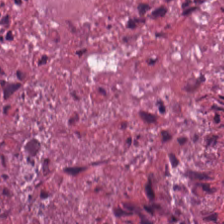Hematoxylin-and-eosin stained section — Q: What type of tissue is this?
A: This is necrotic debris.
